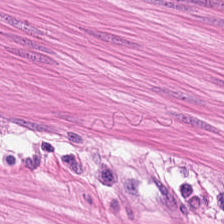H&E.
Showing smooth-muscle tissue.
